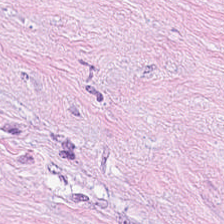H&E stain. 0.5 µm/px. Showing tumor stroma.
